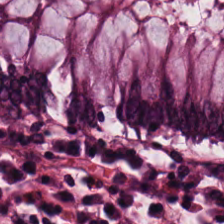Tissue: benign colonic mucosa.
